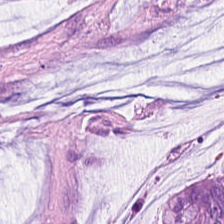H&E stain; 0.5 µm/px.
{"tissue_type": "mucus"}
